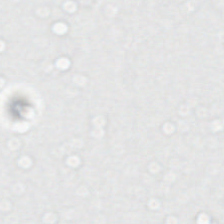H&E-stained tissue section.
No tissue present; background only.
